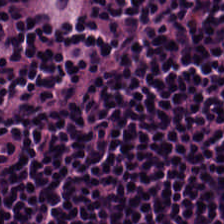Stain: hematoxylin-and-eosin stained section.
Acquisition: brightfield microscopy.
Preparation: FFPE tissue section.
Predominant tissue: lymphocytic infiltrate.
